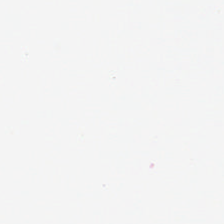Empty field — background (no tissue).
